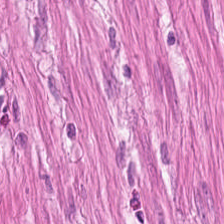Q: What does this patch show?
A: Smooth-muscle tissue.
